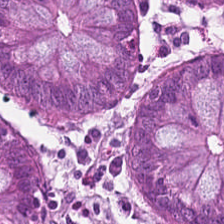H&E stain · 0.5 microns per pixel — Predominantly normal colonic mucosa.
